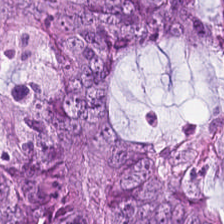Hematoxylin-and-eosin stained section. 0.5 microns per pixel. Tissue type: colorectal adenocarcinoma.
